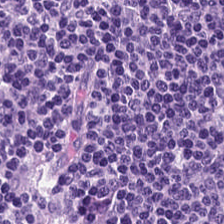H&E-stained tissue section. {"tissue_type": "lymphocyte aggregate"}
